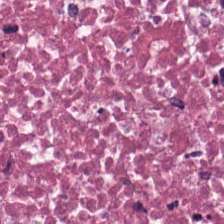FFPE · H&E-stained tissue section · brightfield — Q: What type of tissue is this?
A: Cellular debris.
